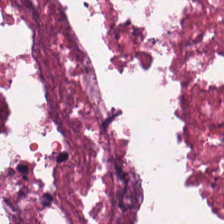224×224 px tile. Hematoxylin-and-eosin stained section. {"tissue_type": "cellular debris"}
